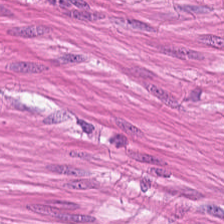Hematoxylin and eosin. Q: What type of tissue is this?
A: Smooth-muscle tissue.
